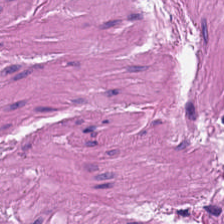0.5 µm/px. H&E-stained tissue section.
Predominantly muscularis.
